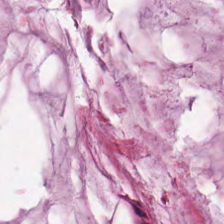Brightfield · 224×224 px tile · H&E-stained tissue section. {"tissue_type": "extracellular mucin"}
